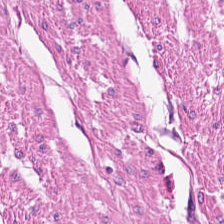0.5 µm/px; H&E-stained tissue section; brightfield.
Predominant tissue = muscularis.
